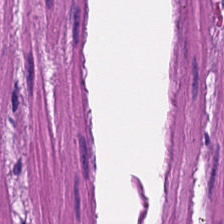H&E. Brightfield microscopy. 224×224 px tile — {"tissue_type": "smooth-muscle tissue"}
